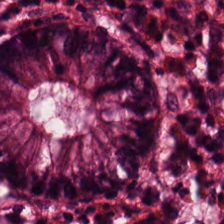Stain: H&E stain.
Tissue type: normal colon mucosa.
